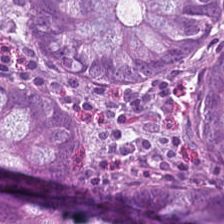Brightfield microscopy. Hematoxylin-and-eosin stained section.
Showing normal colonic mucosa.
